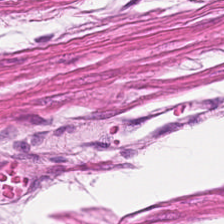H&E. Finding — muscularis.
